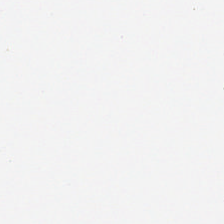Background — no tissue in this field.
